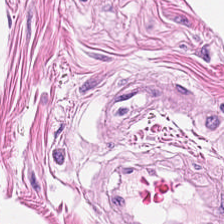Hematoxylin-and-eosin stained section — Q: What does this patch show?
A: This is smooth-muscle tissue.
